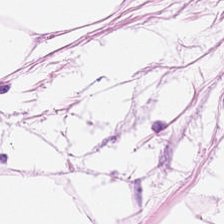Q: Classify this patch.
A: Fat tissue.
